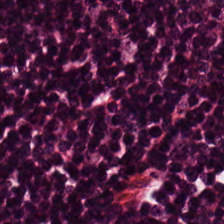Brightfield microscopy; hematoxylin-and-eosin stained section. Finding — lymphocytic infiltrate.
